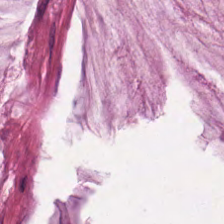Stain: hematoxylin and eosin.
Classification: mucus.
